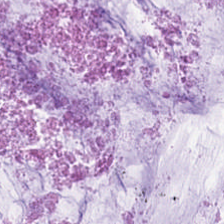0.5 µm per pixel · H&E-stained tissue section — The tissue type is mucus.
